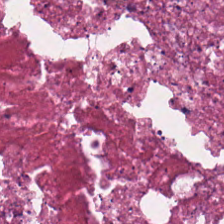FFPE tissue section · H&E stain — The tissue class is necrotic debris.
